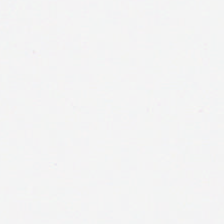H&E-stained tissue section. 224×224 pixel tile.
The field content is background (no tissue).
